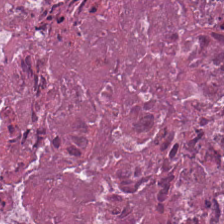Hematoxylin-and-eosin section: necrotic debris.
